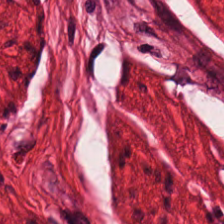H&E stain. 224×224 pixel tile. Classification = smooth-muscle tissue.
